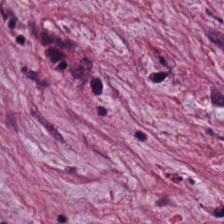224×224 px patch. Hematoxylin-and-eosin stained section. Classification: cancer-associated stroma.
